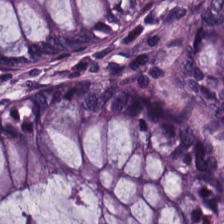0.5 microns per pixel · 224×224 px patch · hematoxylin and eosin. Predominant tissue — non-neoplastic colon mucosa.
